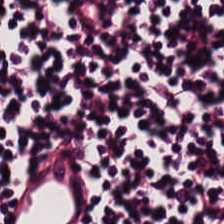This field is lymphocytes.
